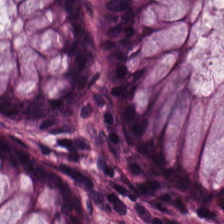Hematoxylin and eosin.
Tissue type: normal colon mucosa.
